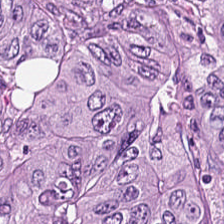0.5 µm per pixel · hematoxylin-and-eosin stained section · brightfield.
Tissue — adenocarcinoma.
